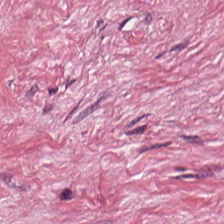Hematoxylin-and-eosin stained section.
The predominant tissue is tumor-associated stroma.
